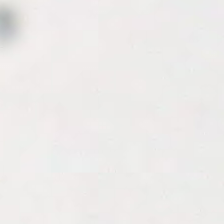Hematoxylin and eosin. Histology → background.
